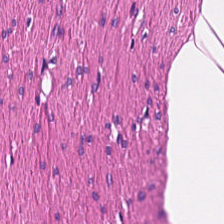Hematoxylin and eosin · brightfield microscopy · formalin-fixed paraffin-embedded section.
The predominant tissue is muscularis.
